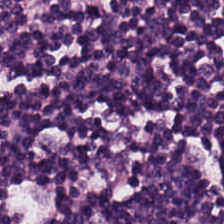{"tissue_type": "lymphocytes"}
